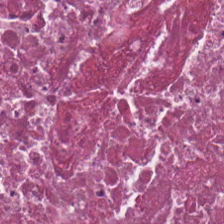This patch shows debris.
